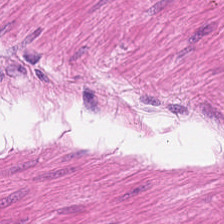Stain: H&E-stained tissue section.
Tissue: smooth-muscle tissue.
